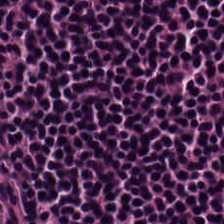Hematoxylin-and-eosin stained section. Q: Classify this patch.
A: The field shows lymphocytes.
